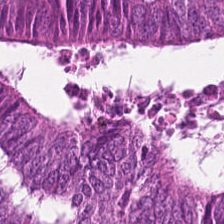Hematoxylin-and-eosin stained section · 0.5 microns per pixel — Tissue type: adenocarcinoma.
